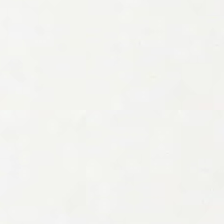H&E stain · formalin-fixed paraffin-embedded section · 224×224 pixel tile.
Finding — background (no tissue).
